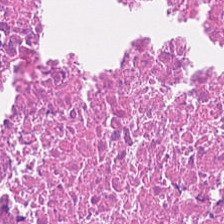Stain: H&E-stained tissue section.
Tissue type: necrotic debris.
